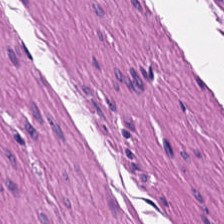The tissue here is muscularis.
